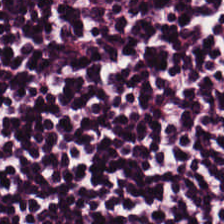The tissue here is lymphocytes.
